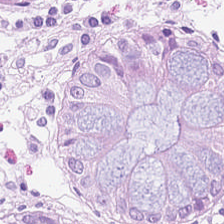Hematoxylin-and-eosin stained section. 224×224 px patch. Formalin-fixed paraffin-embedded section — Q: What is shown here?
A: The field shows non-neoplastic colon mucosa.
